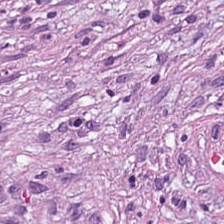Showing cancer-associated stroma.
